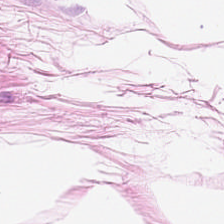H&E stain. Impression — fat tissue.
